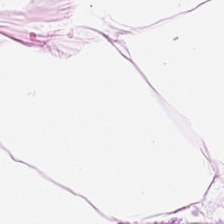{"tissue_type": "adipose"}
